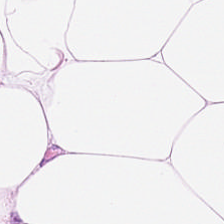The predominant tissue is adipocytes.
